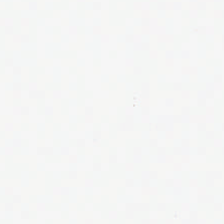No tissue.
